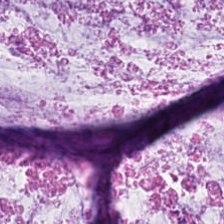Brightfield · H&E stain. {"tissue_type": "extracellular mucin"}
